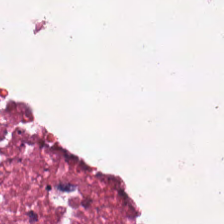{"tissue_type": "debris"}
